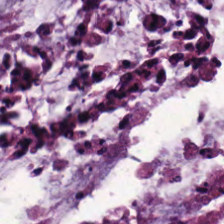Hematoxylin and eosin. Brightfield microscopy.
This patch shows mucin.
